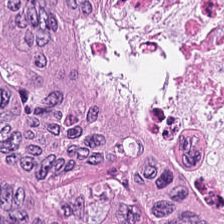Tissue class — malignant epithelium.
